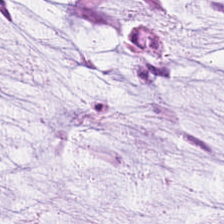0.5 µm per pixel; hematoxylin-and-eosin stained section — Showing extracellular mucin.
